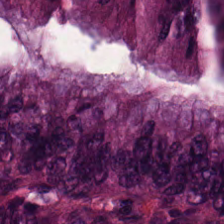Hematoxylin and eosin. Q: Identify the tissue.
A: This is colorectal adenocarcinoma epithelium.
